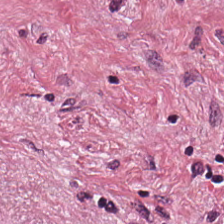H&E stain — This field is tumor stroma.
